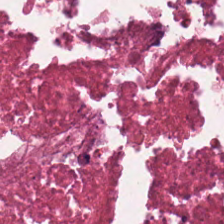0.5 µm/px. H&E stain. FFPE — This field is necrotic debris.
